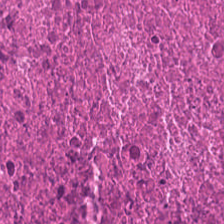Hematoxylin and eosin. Tissue: debris.
